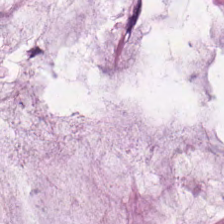H&E — The tissue here is mucus.
